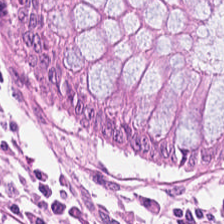Q: What is the predominant tissue type?
A: It is normal colon mucosa.
